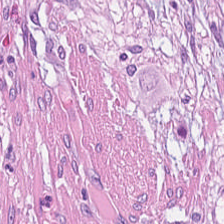This field is tumor stroma.
